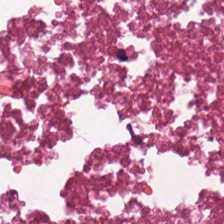20× equivalent magnification. H&E stain — Q: What is shown in this field?
A: This is cellular debris.
